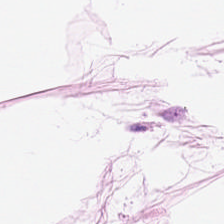H&E stain — Classification = adipose.
